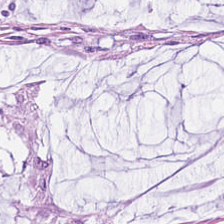Stain: hematoxylin-and-eosin stained section.
Acquisition: whole-slide-image patch.
Resolution: 0.5 microns per pixel.
Classification: mucin.
